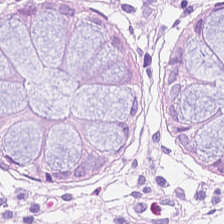0.5 µm per pixel. Hematoxylin-and-eosin stained section — {"tissue_type": "non-neoplastic colon mucosa"}
